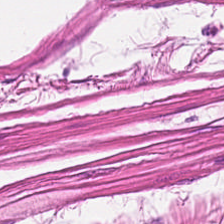H&E-stained tissue section; 0.5 microns per pixel; 224×224 px patch — Showing smooth muscle.
